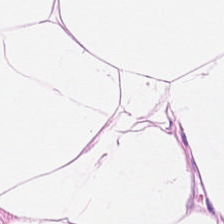H&E. Q: What type of tissue is this?
A: Adipose tissue.
